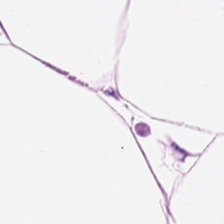Hematoxylin-and-eosin stained section. The predominant tissue is adipocytes.
